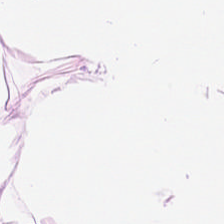Hematoxylin-and-eosin stained section.
The tissue here is adipocytes.
